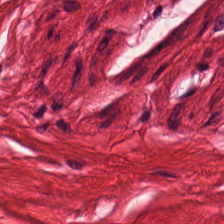H&E stain.
This patch shows smooth-muscle tissue.
